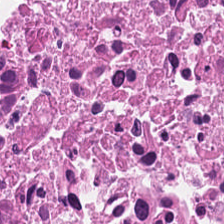Tissue class — necrotic debris.
